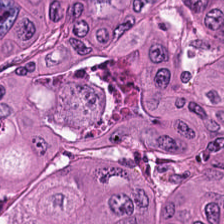224×224 px tile. H&E-stained tissue section. Adenocarcinoma.
